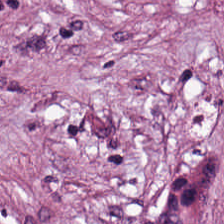Hematoxylin-and-eosin stained section.
Predominantly tumor-associated stroma.
